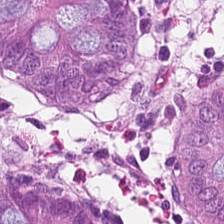H&E stain. {"tissue_type": "non-neoplastic colon mucosa"}
